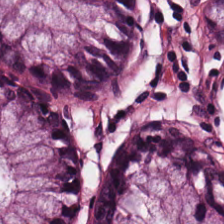Hematoxylin-and-eosin stained section. Predominant tissue: normal colonic mucosa.
